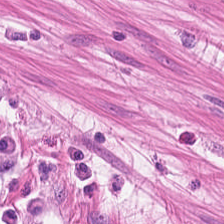Q: What tissue is shown?
A: The field shows smooth muscle.
